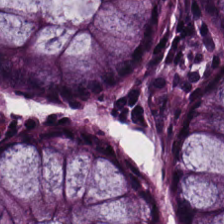224×224 pixel tile; H&E-stained tissue section. Tissue type: normal colon mucosa.
